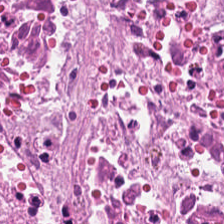Stain: H&E.
Predominant tissue: debris.
